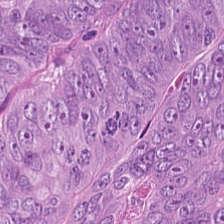H&E — Predominant tissue = adenocarcinoma.
